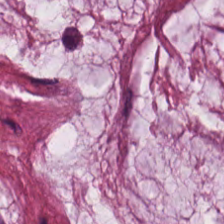Impression — mucus.
